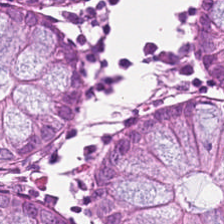Showing non-neoplastic colon mucosa.
